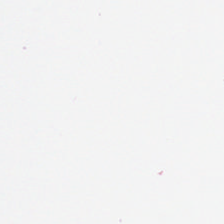Hematoxylin-and-eosin stained section. Q: What is shown in this field?
A: This is empty background.
